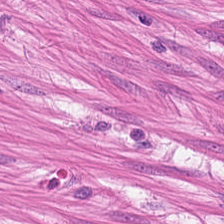{"tissue_type": "smooth-muscle tissue"}
